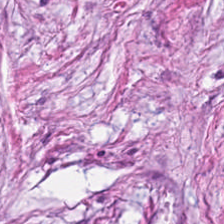Stain: H&E.
Tissue class: cancer-associated stroma.
